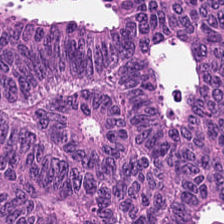H&E — malignant epithelium.
